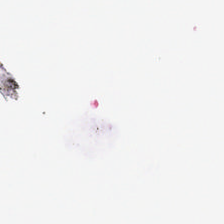Hematoxylin and eosin · 0.5 µm per pixel · FFPE. Classification: background (no tissue).
